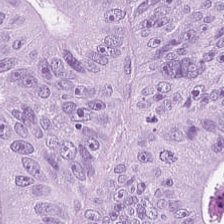Hematoxylin and eosin.
Tissue = colorectal adenocarcinoma.
